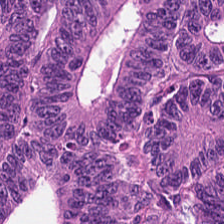H&E-stained tissue section; 0.5 microns per pixel; whole-slide-image patch — This patch shows colorectal adenocarcinoma.
